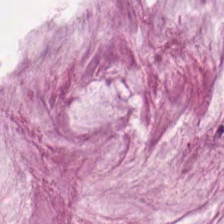224×224 px tile. H&E-stained tissue section. FFPE tissue section.
Q: What tissue type is shown here?
A: Mucus.
